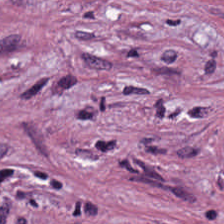Showing tumor stroma.
